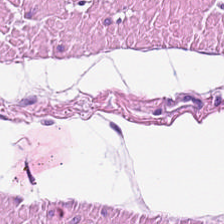Tissue class — muscularis.
